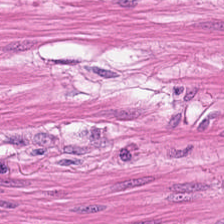Stain: H&E.
Resolution: 0.5 microns per pixel.
Preparation: FFPE tissue section.
Predominant tissue: smooth-muscle tissue.
